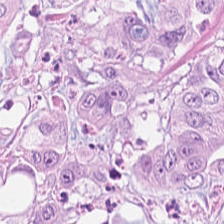H&E.
{"tissue_type": "colorectal adenocarcinoma epithelium"}
